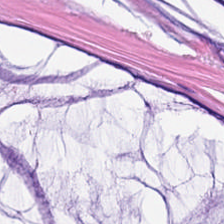The tissue here is extracellular mucin.
